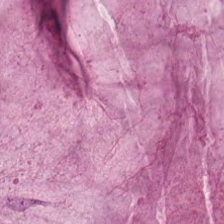Stain: H&E-stained tissue section.
Tissue: mucus.
